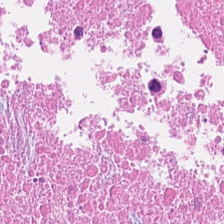Formalin-fixed paraffin-embedded section · 0.5 µm per pixel · hematoxylin-and-eosin stained section.
Q: What tissue type is shown here?
A: The field shows cellular debris.
